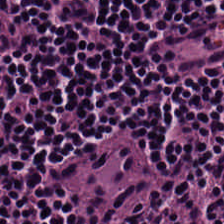Hematoxylin and eosin. Tissue: lymphocytes.
